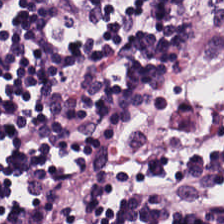Stain: H&E.
Tissue type: lymphocytic infiltrate.
